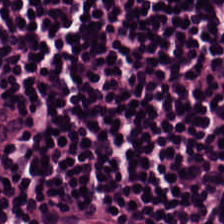Hematoxylin and eosin. This field is lymphocytic infiltrate.
